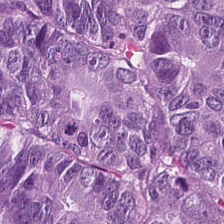H&E stain.
Colorectal adenocarcinoma epithelium.
